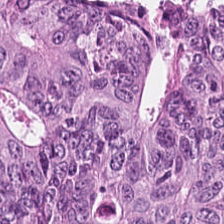H&E stain. 0.5 microns per pixel. 224×224 px tile.
The predominant tissue is malignant epithelium.
